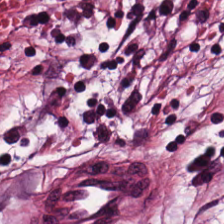20× equivalent magnification. H&E — Impression → cancer-associated stroma.
